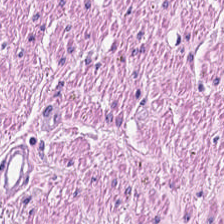The predominant tissue is smooth muscle.
